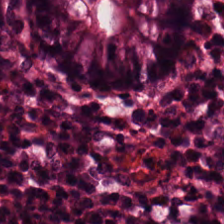0.5 microns per pixel · H&E-stained tissue section — This patch shows benign colonic mucosa.
